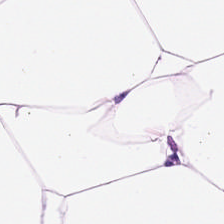H&E stain; 224×224 px tile.
Adipose.
